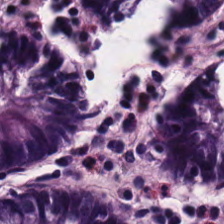20× equivalent magnification. 224×224 px tile. H&E-stained tissue section — Histology → normal colon mucosa.
